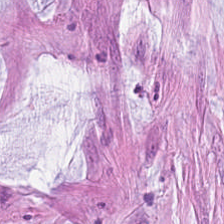Whole-slide-image patch; 224×224 px patch; H&E-stained tissue section.
The tissue is mucin.
